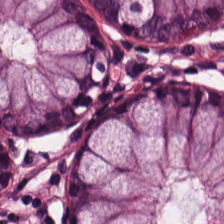Hematoxylin and eosin. This field is benign colonic mucosa.
